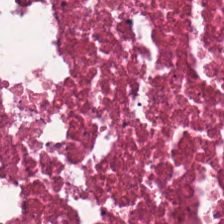H&E stain. Tissue class = debris.
